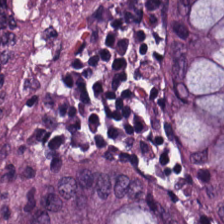H&E stain — {"tissue_type": "benign colonic mucosa"}
